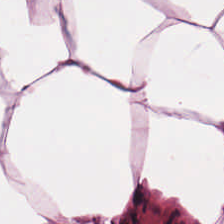H&E — Showing fat tissue.
